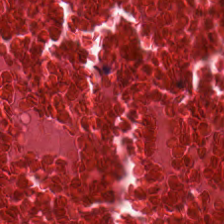Hematoxylin and eosin.
Q: What is shown here?
A: This is necrotic debris.
